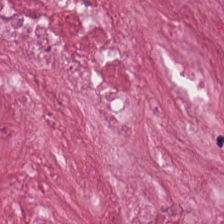H&E-stained tissue section · FFPE tissue section. Q: What type of tissue is this?
A: This is tumor stroma.
